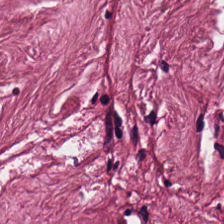Tissue type — desmoplastic stroma.
